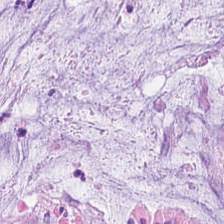Impression — extracellular mucin.
